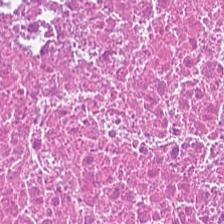H&E-stained section; the field shows necrotic debris.
